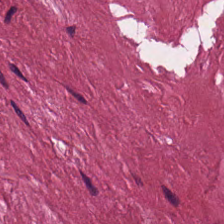H&E; FFPE — The tissue here is desmoplastic stroma.
